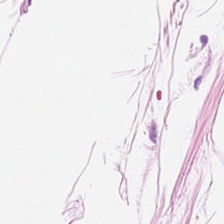H&E. The tissue type is fat tissue.
